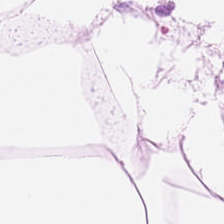Whole-slide-image patch. Hematoxylin-and-eosin stained section — Q: What does this patch show?
A: This is adipocytes.
